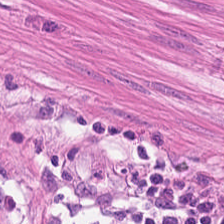H&E.
Tissue class — smooth-muscle tissue.
